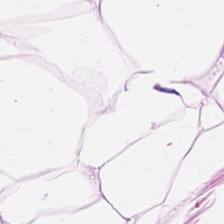Stain: hematoxylin-and-eosin stained section.
Predominant tissue: fat tissue.
